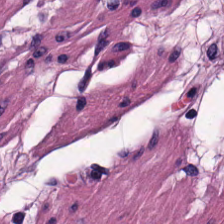WSI patch · H&E stain — Histology → smooth muscle.
